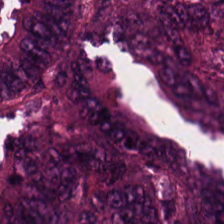Hematoxylin-and-eosin stained section. Finding → colorectal adenocarcinoma.
